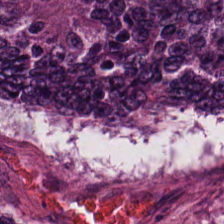Hematoxylin and eosin — Predominantly adenocarcinoma.
